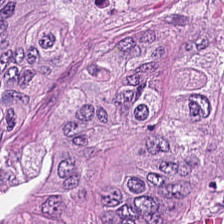H&E-stained tissue section; FFPE tissue section; 224×224 pixel tile.
The tissue here is colorectal adenocarcinoma.
